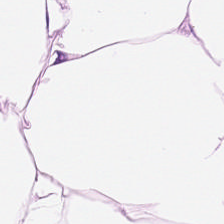H&E.
Classification — adipose tissue.
